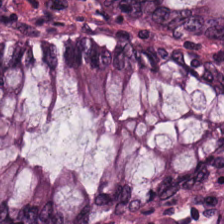FFPE · H&E stain.
The tissue type is benign colonic mucosa.
